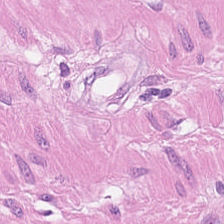Hematoxylin-and-eosin section: smooth-muscle tissue.
